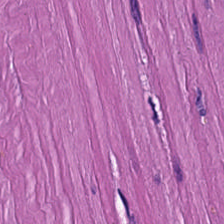H&E stain — The predominant tissue is smooth muscle.
